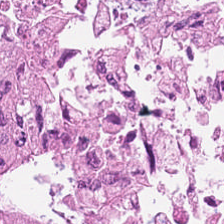H&E; 0.5 µm per pixel — Q: What tissue is shown?
A: Malignant epithelium.
